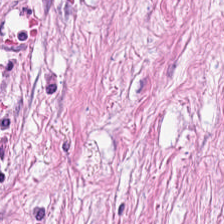H&E-stained tissue section; 224×224 pixel tile — Predominant tissue = cancer-associated stroma.
